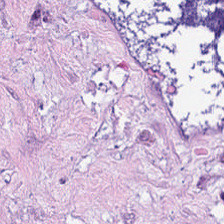Whole-slide-image patch. H&E — Finding — desmoplastic stroma.
